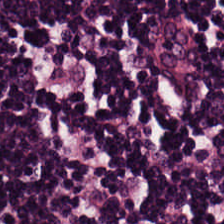The tissue here is lymphocyte aggregate.
